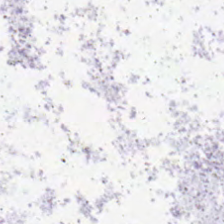Hematoxylin-and-eosin stained section; 0.5 µm/px. No tissue present; background only.
